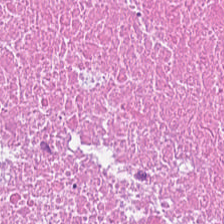H&E-stained tissue section. 224×224 px patch.
Predominant tissue — cellular debris.
